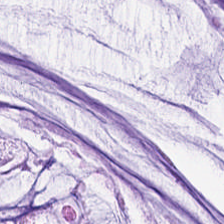H&E-stained tissue section · 0.5 microns per pixel. Histology — mucus.
